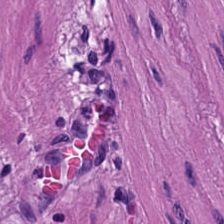Hematoxylin-and-eosin stained section. Smooth-muscle tissue.
